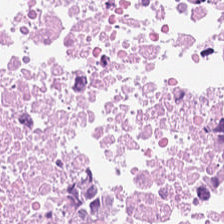Hematoxylin-and-eosin section: debris.
